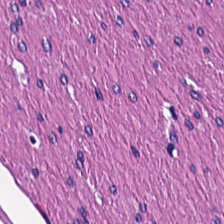FFPE. Hematoxylin-and-eosin stained section. This patch shows smooth-muscle tissue.
